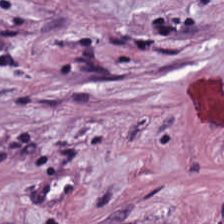H&E-stained section; the field shows tumor stroma.
